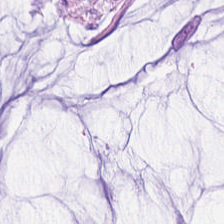Showing extracellular mucin.
